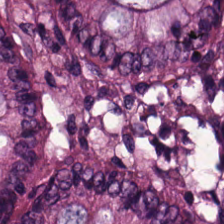Hematoxylin-and-eosin stained section.
The predominant tissue is normal colonic mucosa.
